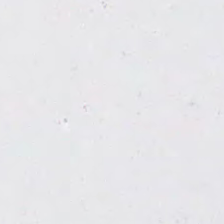H&E stain. Content = empty background.
